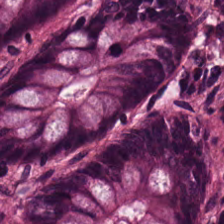Tissue type = normal colon mucosa.
